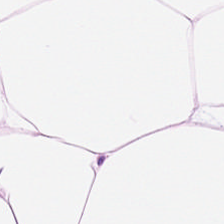Hematoxylin-and-eosin stained section. Impression — adipose tissue.
